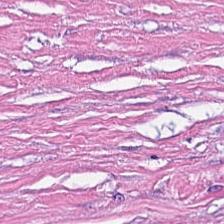Classification — cancer-associated stroma.
